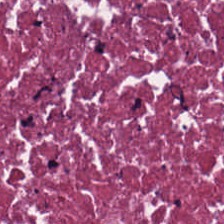H&E-stained tissue section; brightfield.
The tissue here is cellular debris.
